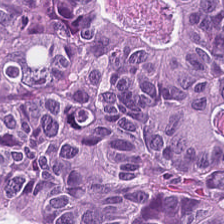H&E-stained tissue section showing adenocarcinoma.
